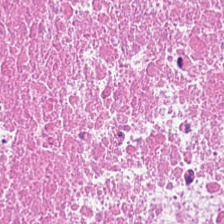Hematoxylin-and-eosin stained section. Cellular debris.
